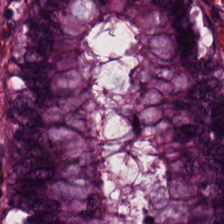Brightfield microscopy; H&E; 224×224 px patch.
Impression — benign colonic mucosa.
